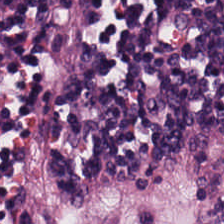Hematoxylin-and-eosin stained section.
Lymphocytic infiltrate.
